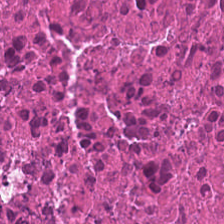Whole-slide-image patch. 224×224 px patch. Hematoxylin-and-eosin stained section. Tissue: necrotic debris.
